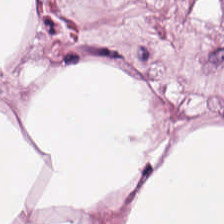Brightfield. 224×224 px tile. H&E-stained tissue section — Q: What tissue type is shown here?
A: The field shows adipose.
